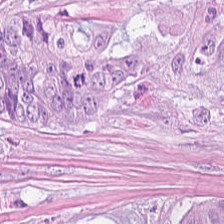H&E · formalin-fixed paraffin-embedded section.
Q: What is shown in this field?
A: This is colorectal adenocarcinoma epithelium.
